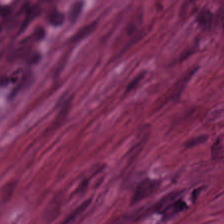H&E stain — Tissue type: tumor stroma.
